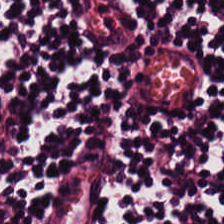FFPE. Hematoxylin and eosin. 0.5 microns per pixel. Q: What does this patch show?
A: This is lymphocyte aggregate.
